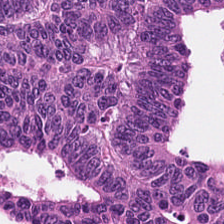H&E-stained tissue section. Tissue: tumor epithelium.
